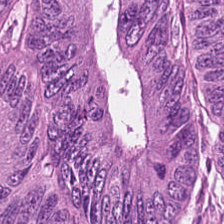H&E. 0.5 µm per pixel. FFPE tissue section.
Finding — adenocarcinoma.
